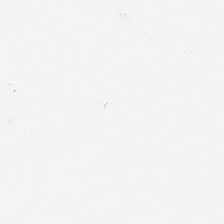Q: What is shown here?
A: The field shows background.
